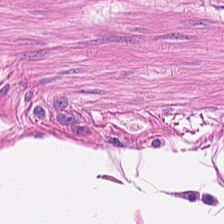H&E stain — Muscularis.
